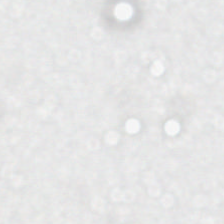No tissue.
